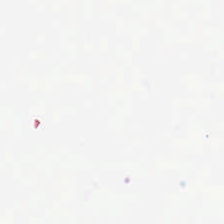Whole-slide-image patch. 224×224 px patch. H&E stain. Background — no tissue in this field.
